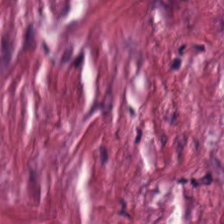Hematoxylin and eosin — Q: Classify this patch.
A: This is desmoplastic stroma.
